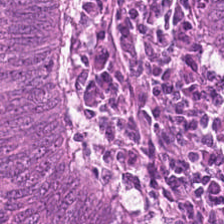Hematoxylin-and-eosin stained section. Predominantly tumor epithelium.
